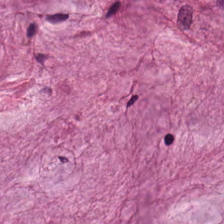Hematoxylin-and-eosin stained section — Q: Classify this patch.
A: It is extracellular mucin.
